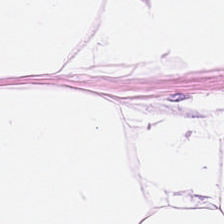H&E stain — {"tissue_type": "fat tissue"}
